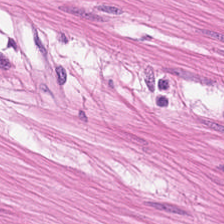H&E · WSI patch. Tissue = smooth-muscle tissue.
